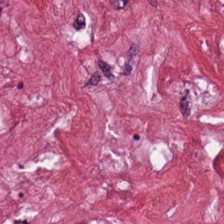Brightfield. Hematoxylin and eosin. 224×224 pixel tile. Tissue — desmoplastic stroma.
